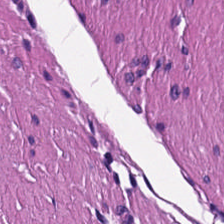H&E-stained tissue section — Predominantly smooth-muscle tissue.
